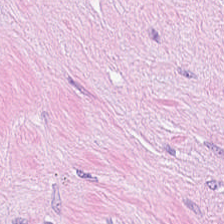Hematoxylin and eosin; whole-slide-image patch.
Q: Classify this patch.
A: Tumor stroma.
